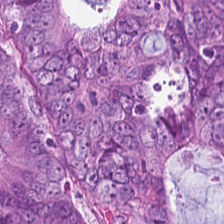H&E. Tissue = colorectal adenocarcinoma.
